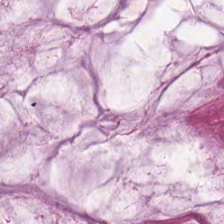Hematoxylin and eosin.
Q: Identify the tissue.
A: The field shows mucus.
